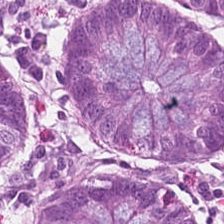FFPE tissue section. Brightfield microscopy. H&E stain. The tissue here is normal colonic mucosa.
